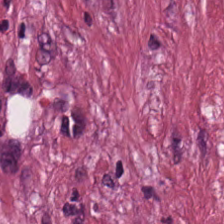Stain: hematoxylin-and-eosin stained section.
Tile size: 224×224 pixel tile.
Tissue class: tumor stroma.
